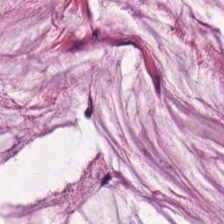0.5 µm/px. Hematoxylin and eosin. Brightfield microscopy. Showing mucus.
